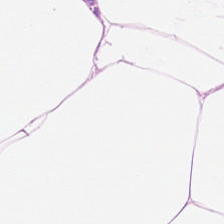H&E-stained tissue section. WSI patch.
The classification is adipocytes.
